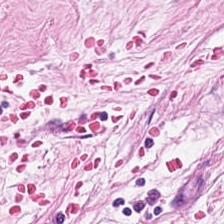Stain: hematoxylin-and-eosin stained section.
Classification: desmoplastic stroma.
